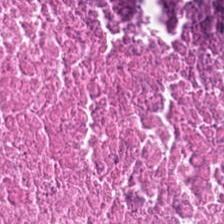WSI patch; hematoxylin and eosin; 0.5 µm per pixel. Q: What is the predominant tissue type?
A: This is debris.
